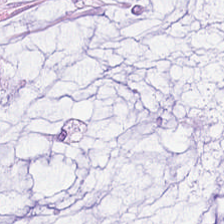224×224 px patch. H&E.
Tissue class = mucin.
